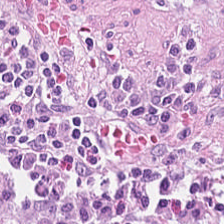Hematoxylin and eosin.
The predominant tissue is desmoplastic stroma.
